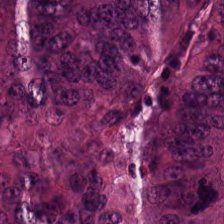WSI patch · hematoxylin and eosin.
Q: What tissue type is shown here?
A: Tumor epithelium.
